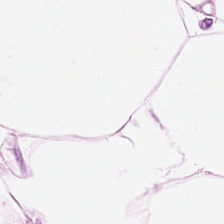H&E · 224×224 pixel tile · brightfield microscopy — Q: What is the predominant tissue type?
A: This is adipose.
